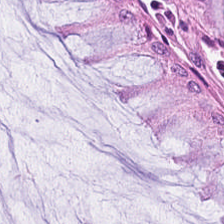H&E stain.
Q: What tissue type is shown here?
A: It is normal colonic mucosa.
